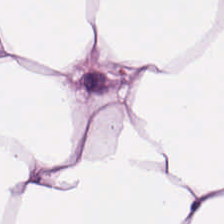20× equivalent magnification; 224×224 px tile; hematoxylin-and-eosin stained section — This field is adipose tissue.
